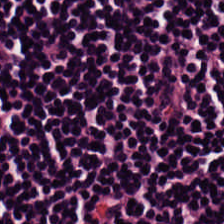Stain: hematoxylin-and-eosin stained section.
Tissue type: lymphocytes.
